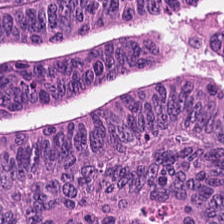224×224 px tile · H&E-stained tissue section.
Impression — colorectal adenocarcinoma epithelium.
